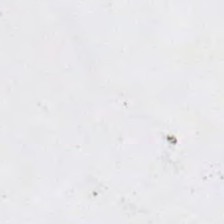Stain: H&E.
Tile size: 224×224 px patch.
Field content: background.
